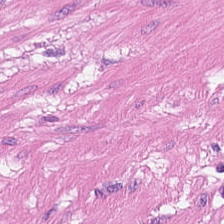Stain: H&E-stained tissue section.
Acquisition: WSI patch.
Tissue type: smooth muscle.
